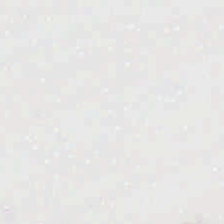H&E. 0.5 µm/px.
Classification: no tissue.
